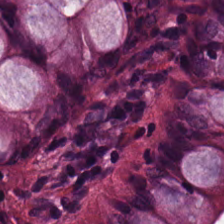H&E-stained section; the field shows benign colonic mucosa.
